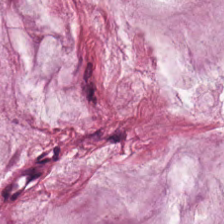The tissue here is extracellular mucin.
